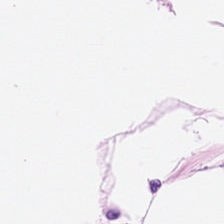H&E stain · 224×224 px patch · WSI patch.
Q: What tissue type is shown here?
A: It is adipose tissue.
